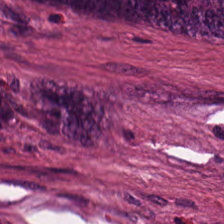H&E. Q: What is the predominant tissue type?
A: It is tumor epithelium.
